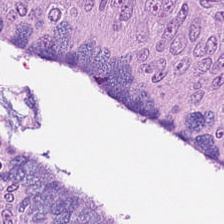H&E. This field is malignant epithelium.
